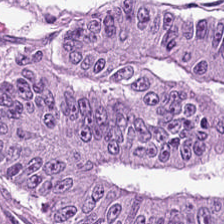Hematoxylin-and-eosin section: malignant epithelium.
